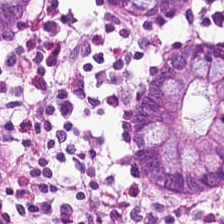Hematoxylin and eosin; FFPE. {"tissue_type": "non-neoplastic colon mucosa"}
